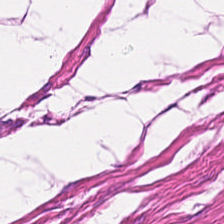20× equivalent magnification · H&E stain · 224×224 px tile. Showing smooth-muscle tissue.
